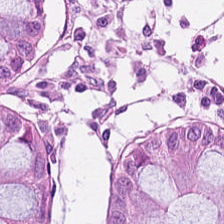Hematoxylin-and-eosin stained section; 0.5 µm per pixel; 224×224 px patch. Normal colon mucosa.
